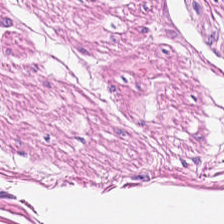224×224 px patch. H&E stain — This patch shows smooth-muscle tissue.
